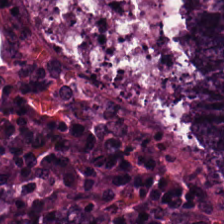H&E stain — Impression — colorectal adenocarcinoma epithelium.
